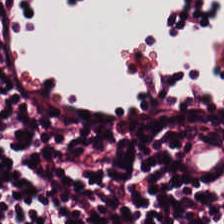Stain: H&E-stained tissue section.
Tissue: lymphocytic infiltrate.
